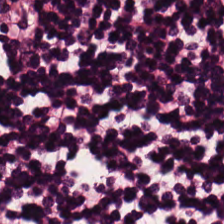Stain: H&E-stained tissue section.
Tile size: 224×224 px patch.
Resolution: 20× equivalent magnification.
Predominant tissue: lymphoid infiltrate.
